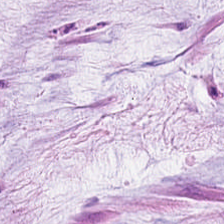Hematoxylin and eosin.
Q: Identify the tissue.
A: Mucin.
